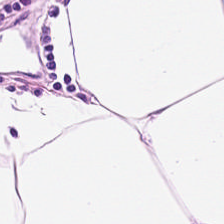H&E stain; 224×224 px patch.
Predominantly adipocytes.
